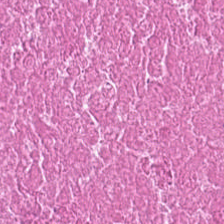H&E-stained section; the field shows necrotic debris.
